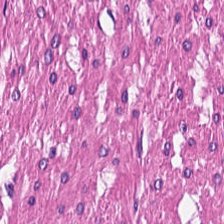Hematoxylin-and-eosin stained section. Showing muscularis.
